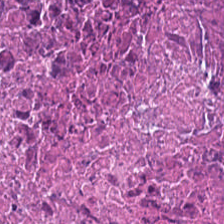Q: Classify this patch.
A: It is necrotic debris.
